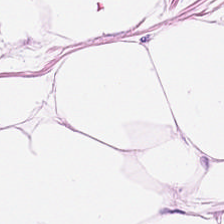H&E. Predominantly fat tissue.
